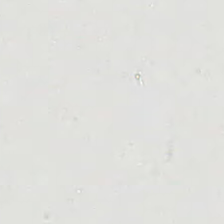H&E stain. Q: What does this patch show?
A: Background.
